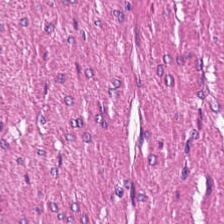H&E. 224×224 px tile — Predominant tissue: smooth-muscle tissue.
